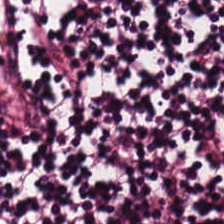Q: Classify this patch.
A: This is lymphocytic infiltrate.
